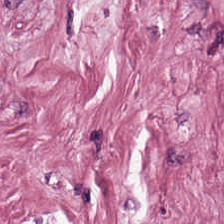FFPE. H&E-stained tissue section — The tissue here is tumor stroma.
